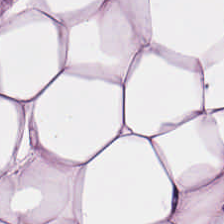H&E.
Q: Classify this patch.
A: The field shows adipocytes.
